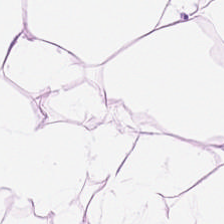H&E stain. 224×224 px tile. 0.5 µm per pixel — Tissue = adipose tissue.
